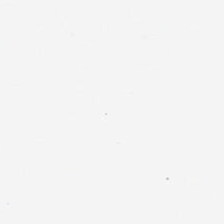Field content — background (no tissue).
